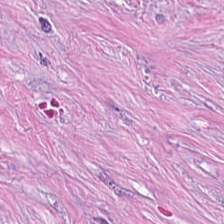224×224 pixel tile · 0.5 microns per pixel · hematoxylin-and-eosin stained section.
Q: What type of tissue is this?
A: Tumor stroma.
